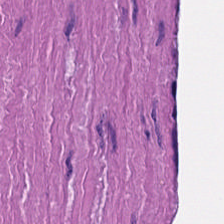Stain: H&E.
Preparation: formalin-fixed paraffin-embedded section.
Acquisition: whole-slide-image patch.
Tissue type: smooth-muscle tissue.
